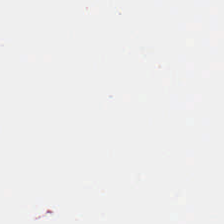Stain: H&E stain.
Classification: no tissue.
